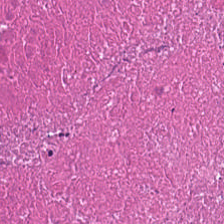WSI patch · hematoxylin and eosin.
The classification is debris.
